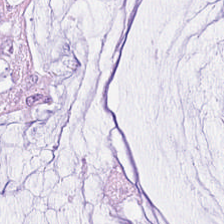The tissue class is mucin.
